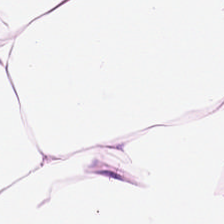Brightfield microscopy · 224×224 pixel tile · H&E.
Finding → adipocytes.
